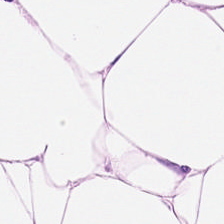H&E-stained tissue section.
The tissue here is adipose.
